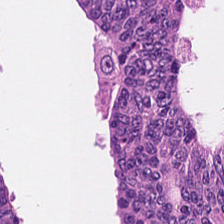Hematoxylin-and-eosin stained section.
This field is colorectal adenocarcinoma epithelium.
